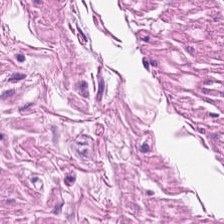H&E stain. {"tissue_type": "muscularis"}
